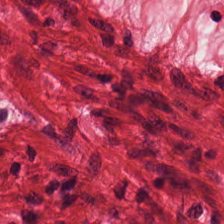The predominant tissue is smooth muscle.
